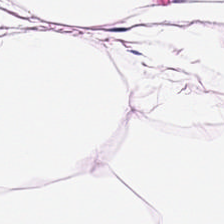224×224 px tile; hematoxylin-and-eosin stained section — Tissue class — adipocytes.
